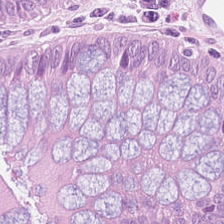Predominantly non-neoplastic colon mucosa.
